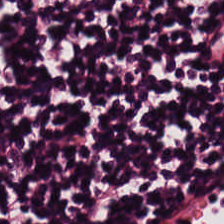H&E. Tissue type: lymphoid infiltrate.
